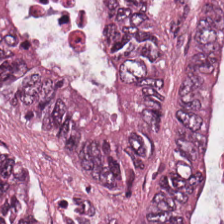The tissue class is colorectal adenocarcinoma epithelium.
